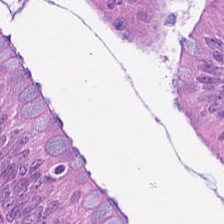Hematoxylin-and-eosin stained section — Showing adenocarcinoma.
